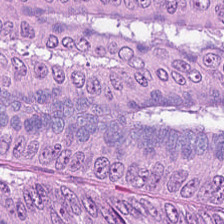H&E-stained tissue section — Predominantly colorectal adenocarcinoma.
